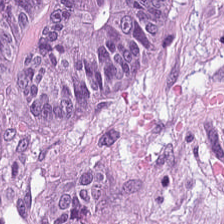H&E-stained tissue section. Brightfield.
The predominant tissue is adenocarcinoma.
